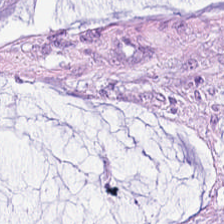Hematoxylin-and-eosin stained section — The tissue here is mucin.
